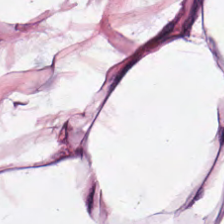H&E-stained section; the field shows adipocytes.
